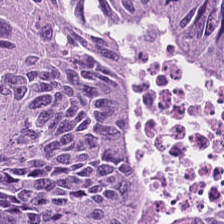Colorectal adenocarcinoma epithelium.
